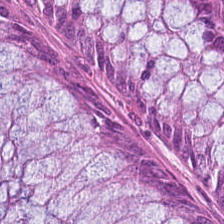Hematoxylin-and-eosin stained section — {"tissue_type": "normal colon mucosa"}
